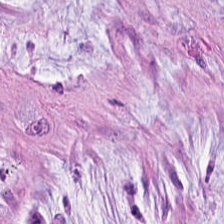Finding → mucin.
